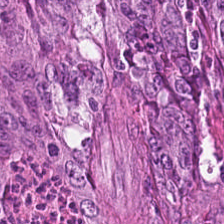Stain: hematoxylin-and-eosin stained section.
Tissue class: colorectal adenocarcinoma epithelium.
